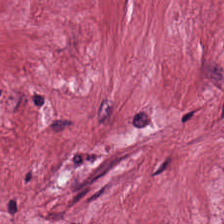Hematoxylin and eosin.
This patch shows tumor stroma.
